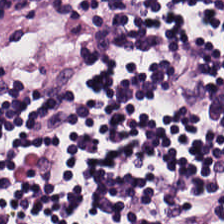H&E-stained tissue section.
This patch shows lymphocyte aggregate.
